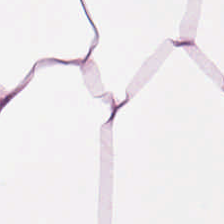H&E-stained tissue section; brightfield — Impression — adipose.
